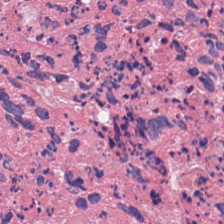Tissue type: necrotic debris.
